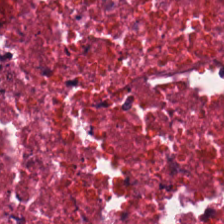Q: What tissue type is shown here?
A: This is cellular debris.
